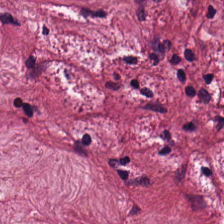Stain: H&E-stained tissue section.
Acquisition: WSI patch.
Tissue type: tumor stroma.
